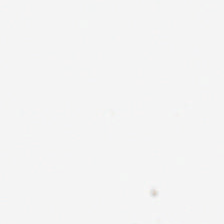Hematoxylin and eosin — The content is background.
